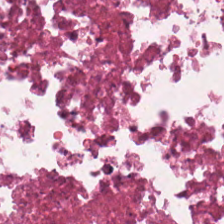This field is cellular debris.
